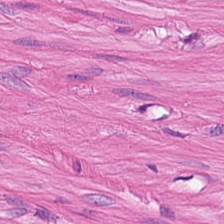Hematoxylin and eosin · 20× equivalent magnification. {"tissue_type": "muscularis"}
